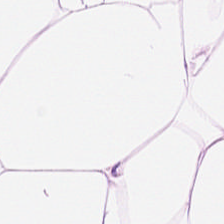Brightfield microscopy · FFPE tissue section · H&E-stained tissue section. The tissue class is fat tissue.
